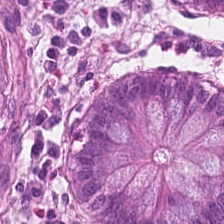Hematoxylin and eosin — This patch shows normal colon mucosa.
